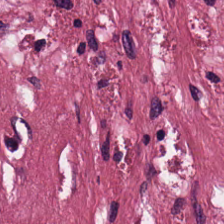H&E. Tissue — cancer-associated stroma.
